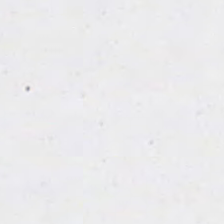Whole-slide-image patch · H&E.
Classification: background (no tissue).
